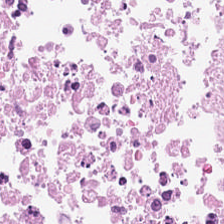H&E stain. 20× equivalent magnification.
This patch shows necrotic debris.
